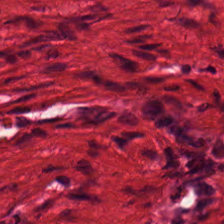{"tissue_type": "smooth muscle"}
